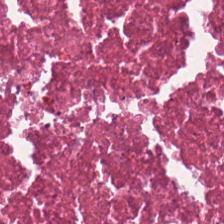Hematoxylin-and-eosin stained section.
This patch shows cellular debris.
